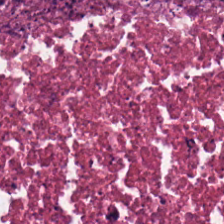H&E-stained tissue section showing debris.
